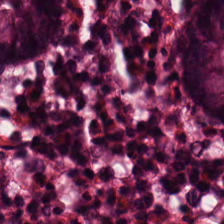FFPE. 224×224 px tile. H&E-stained tissue section — The tissue here is non-neoplastic colon mucosa.
